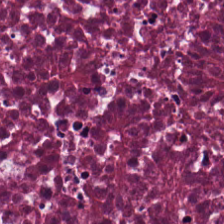Hematoxylin-and-eosin stained section.
Predominant tissue = debris.
